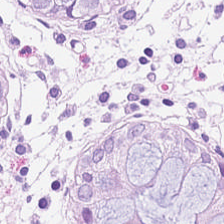0.5 microns per pixel · hematoxylin-and-eosin stained section · whole-slide-image patch — This field is normal colonic mucosa.
